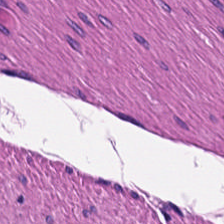0.5 microns per pixel; brightfield microscopy; H&E-stained tissue section.
The predominant tissue is muscularis.
